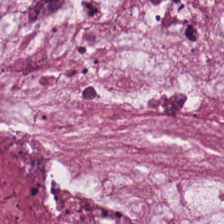H&E patch showing mucus.
